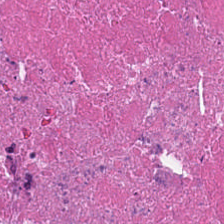Stain: hematoxylin and eosin.
Tissue: debris.
